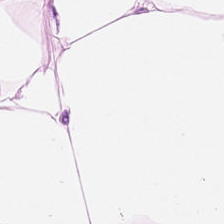Classification — adipose.
